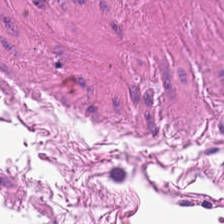Smooth-muscle tissue.
